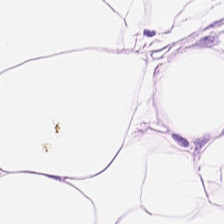H&E.
The classification is adipose tissue.
